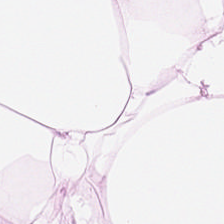H&E-stained tissue section — {"tissue_type": "fat tissue"}
